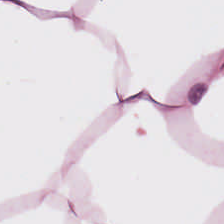Hematoxylin and eosin. Tissue type = fat tissue.
